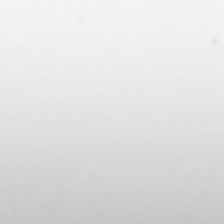Background — no tissue in this field.
